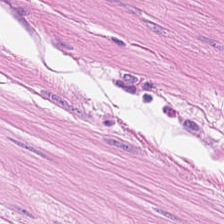H&E-stained section; the field shows muscularis.
